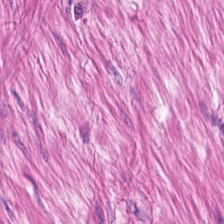H&E-stained tissue section.
This field is smooth-muscle tissue.
